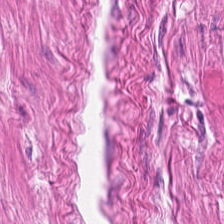0.5 µm per pixel; hematoxylin-and-eosin stained section — Predominant tissue = muscularis.
